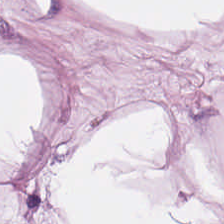H&E stain. Predominantly adipocytes.
